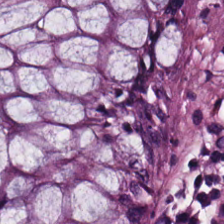Hematoxylin-and-eosin stained section. Showing normal colon mucosa.
